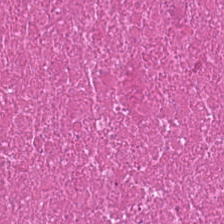H&E patch showing cellular debris.
